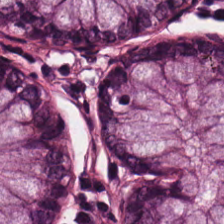Hematoxylin-and-eosin stained section — This patch shows non-neoplastic colon mucosa.
